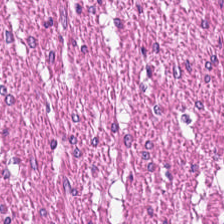H&E. Predominantly muscularis.
